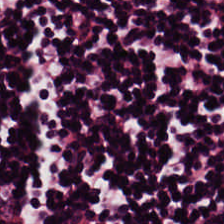224×224 px patch. H&E stain. Q: Classify this patch.
A: It is lymphocytic infiltrate.
